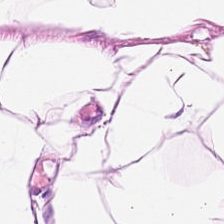H&E-stained tissue section. 0.5 µm/px.
Q: What is shown in this field?
A: Adipose.
